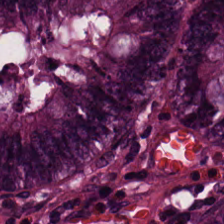Stain: H&E stain.
Tissue class: normal colonic mucosa.
